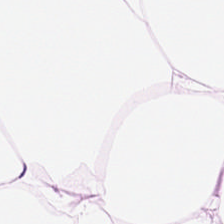Hematoxylin and eosin.
Tissue: adipose tissue.
